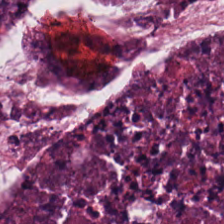Hematoxylin-and-eosin stained section. Brightfield. Q: What tissue type is shown here?
A: It is necrotic debris.
